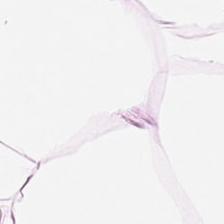H&E · 224×224 px patch — Classification: adipose tissue.
